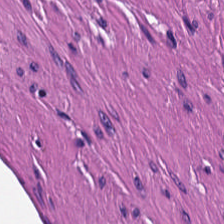Hematoxylin-and-eosin stained section · 0.5 microns per pixel — Tissue type = muscularis.
